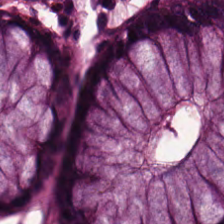Hematoxylin and eosin.
Tissue type — normal colonic mucosa.
